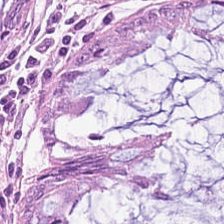Hematoxylin and eosin; 0.5 µm per pixel — Showing normal colonic mucosa.
